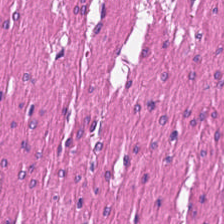H&E; FFPE — Impression → smooth-muscle tissue.
